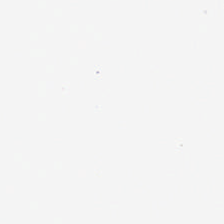Stain: hematoxylin and eosin.
Tile size: 224×224 px tile.
Preparation: FFPE.
Field content: background.
